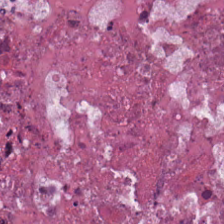0.5 µm/px. H&E stain.
Q: What type of tissue is this?
A: The field shows necrotic debris.
